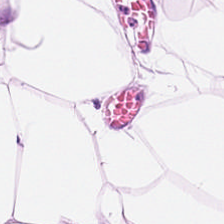Formalin-fixed paraffin-embedded section. H&E. Whole-slide-image patch.
Q: What does this patch show?
A: This is adipose.
